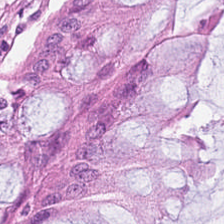{"tissue_type": "non-neoplastic colon mucosa"}
